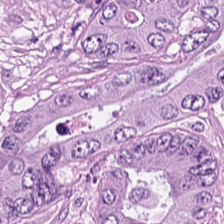Q: What tissue is shown?
A: The field shows tumor epithelium.
